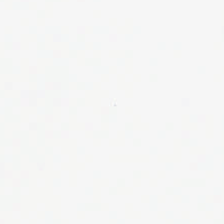Hematoxylin-and-eosin stained section. Formalin-fixed paraffin-embedded section. 224×224 px tile — Background (no tissue).
